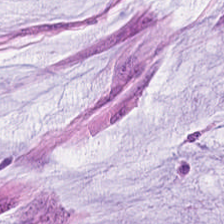Stain: hematoxylin and eosin.
Acquisition: brightfield.
Preparation: FFPE.
Tissue: mucin.
